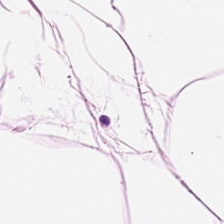H&E.
Classification = adipocytes.
